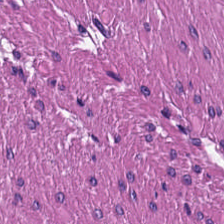H&E stain — The predominant tissue is muscularis.
